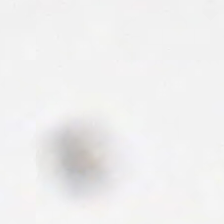H&E stain.
Finding → background (no tissue).
